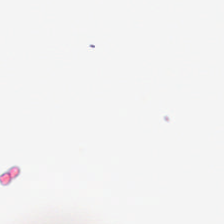H&E.
Histology → background.
